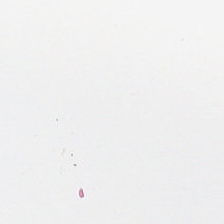Empty field — background (no tissue).
